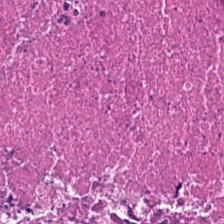Hematoxylin and eosin — The classification is debris.
